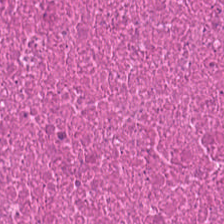Hematoxylin and eosin.
Debris.
